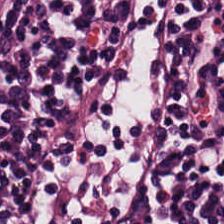WSI patch · H&E-stained tissue section.
The classification is lymphoid infiltrate.
